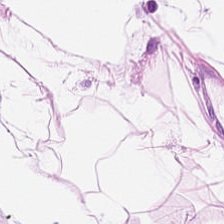H&E stain · 20× equivalent magnification · 224×224 px patch. Adipose.
